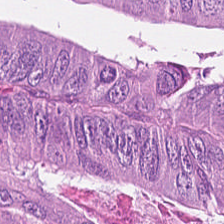Hematoxylin and eosin. Tissue type = colorectal adenocarcinoma epithelium.
